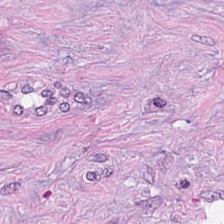H&E. Desmoplastic stroma.
